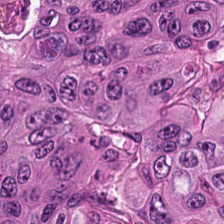H&E-stained tissue section · formalin-fixed paraffin-embedded section — Q: Identify the tissue.
A: The field shows colorectal adenocarcinoma.
